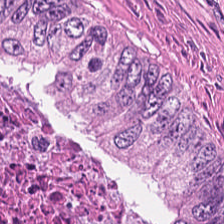Hematoxylin and eosin.
Debris.
